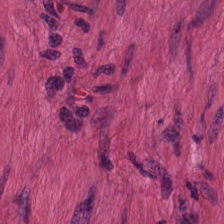FFPE · H&E. Muscularis.
